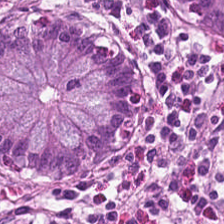H&E; formalin-fixed paraffin-embedded section; 0.5 µm/px — Showing benign colonic mucosa.
